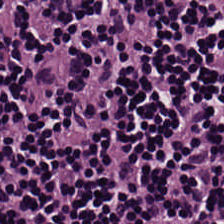Whole-slide-image patch · hematoxylin-and-eosin stained section — Finding → lymphoid infiltrate.
